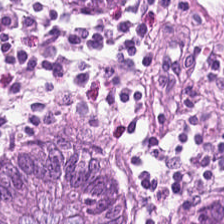224×224 px patch. H&E-stained tissue section.
This patch shows normal colonic mucosa.
